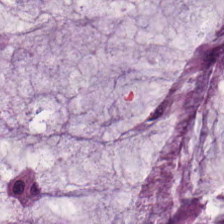H&E stain.
The classification is extracellular mucin.
